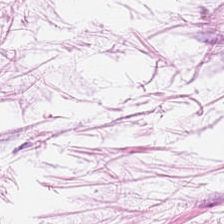Stain: H&E stain.
Predominant tissue: fat tissue.
